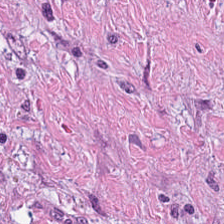{"tissue_type": "tumor stroma"}
